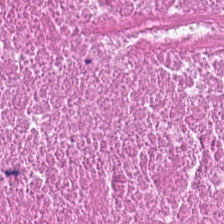H&E-stained tissue section.
Q: Classify this patch.
A: It is cellular debris.
